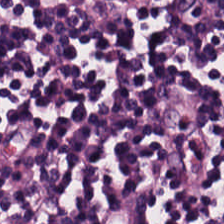{"tissue_type": "lymphocyte aggregate"}
